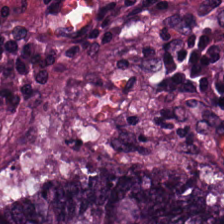H&E-stained tissue section. Colorectal adenocarcinoma.
